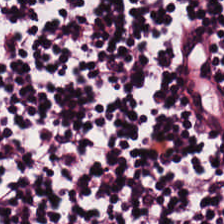Stain: hematoxylin-and-eosin stained section.
Tissue: lymphocyte aggregate.
